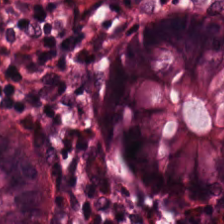Hematoxylin and eosin. The tissue here is normal colonic mucosa.
